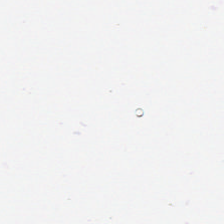Hematoxylin and eosin — Background — no tissue in this field.
